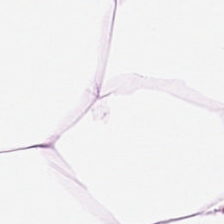Hematoxylin and eosin.
The tissue here is adipose.
